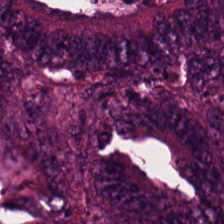Showing tumor epithelium.
